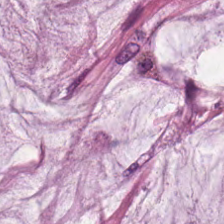H&E-stained tissue section. {"tissue_type": "mucin"}
